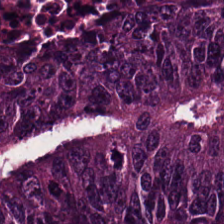The predominant tissue is colorectal adenocarcinoma epithelium.
